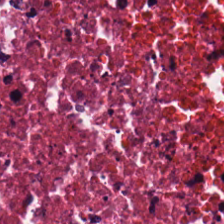Stain: hematoxylin-and-eosin stained section.
Preparation: FFPE.
Classification: necrotic debris.
